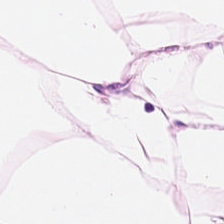H&E-stained tissue section. Showing adipose tissue.
